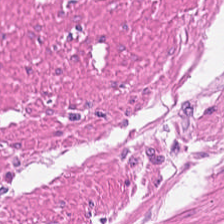Formalin-fixed paraffin-embedded section; hematoxylin and eosin.
This patch shows smooth muscle.
